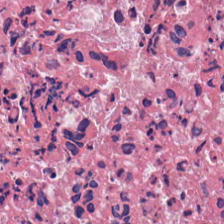Hematoxylin-and-eosin stained section.
Predominant tissue — necrotic debris.
